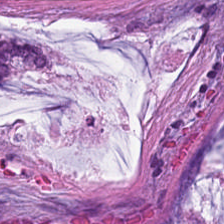H&E-stained tissue section.
Q: What tissue type is shown here?
A: The field shows extracellular mucin.
